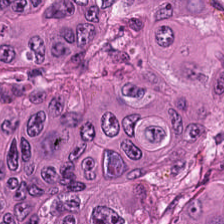Hematoxylin and eosin — Classification — tumor epithelium.
